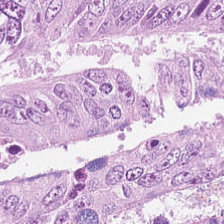Classification — adenocarcinoma.
